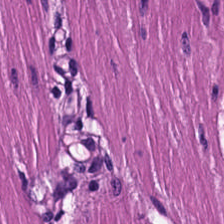H&E. Classification — smooth muscle.
